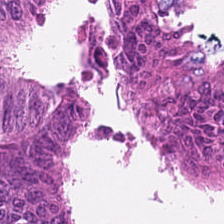H&E-stained tissue section; 224×224 px tile — Tissue class = colorectal adenocarcinoma epithelium.
